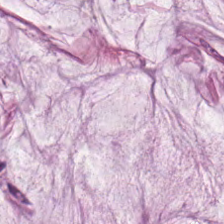Hematoxylin-and-eosin stained section.
The predominant tissue is extracellular mucin.
